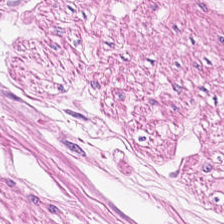Q: What does this patch show?
A: The field shows smooth muscle.
